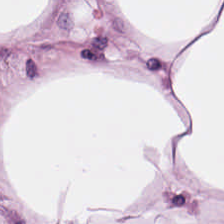0.5 µm per pixel · H&E stain — Finding — fat tissue.
